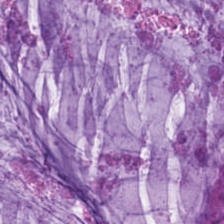H&E stain; FFPE tissue section.
This field is mucin.
